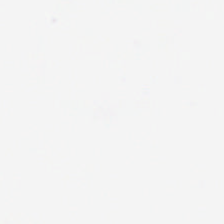H&E-stained tissue section — Empty field — background.
